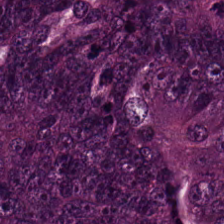H&E.
The predominant tissue is tumor epithelium.
